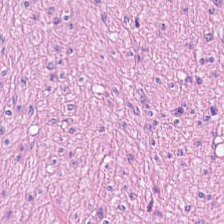Tissue type: smooth muscle.
